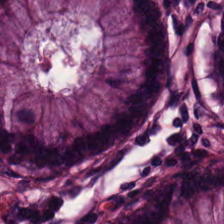Stain: H&E.
Preparation: FFPE.
Tissue type: non-neoplastic colon mucosa.
